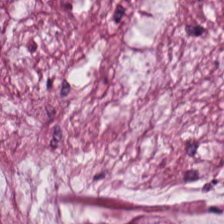Hematoxylin-and-eosin stained section — Q: Identify the tissue.
A: This is extracellular mucin.
